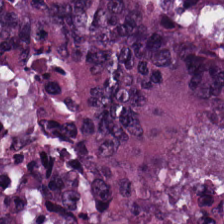H&E stain. The tissue type is malignant epithelium.
